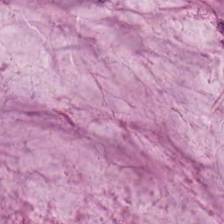Hematoxylin and eosin. Finding — mucin.
